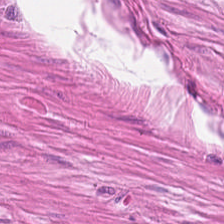H&E-stained tissue section.
Predominantly smooth muscle.
